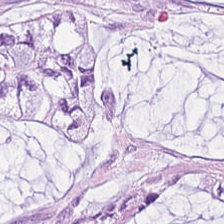Stain: hematoxylin-and-eosin stained section.
Tissue type: mucus.
